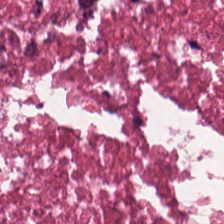Hematoxylin and eosin. Cellular debris.
